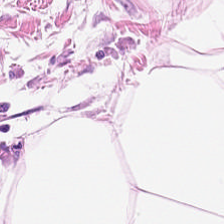Hematoxylin-and-eosin stained section — This patch shows adipocytes.
